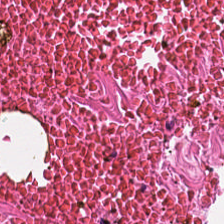Q: What tissue type is shown here?
A: It is cellular debris.
